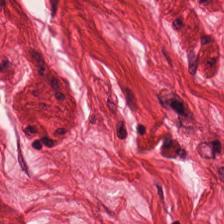Tissue — smooth-muscle tissue.
